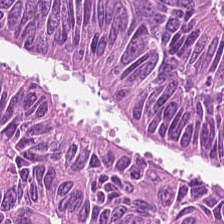WSI patch. Formalin-fixed paraffin-embedded section. H&E — Finding → colorectal adenocarcinoma.
